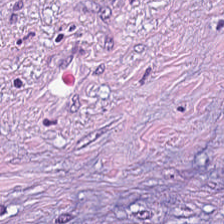Hematoxylin and eosin.
Predominantly cancer-associated stroma.
